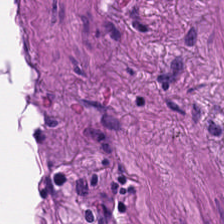Hematoxylin-and-eosin stained section · formalin-fixed paraffin-embedded section · 224×224 pixel tile. The tissue type is smooth muscle.
